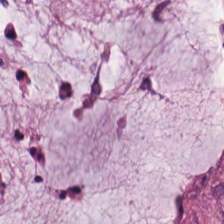H&E; 224×224 pixel tile; FFPE tissue section.
Q: What is shown in this field?
A: The field shows mucus.
